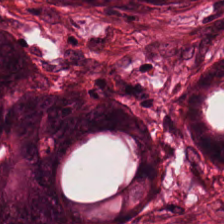Tissue class: tumor epithelium.
